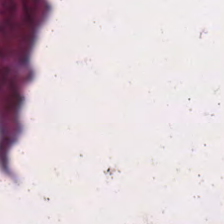H&E stain — Tissue class — cellular debris.
